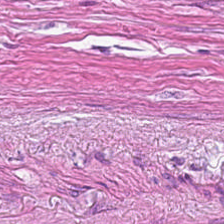H&E stain — Tissue type: tumor-associated stroma.
